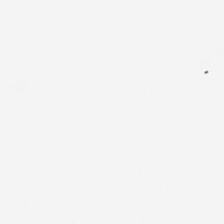FFPE. Brightfield microscopy. H&E stain. This patch shows background.
